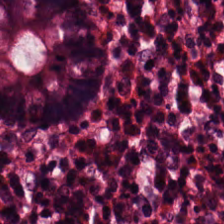20× equivalent magnification · 224×224 px tile · H&E.
Q: What is shown in this field?
A: Non-neoplastic colon mucosa.
